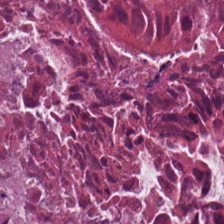{"tissue_type": "necrotic debris"}
